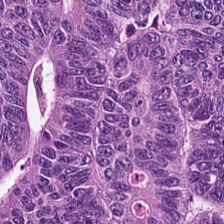H&E-stained tissue section. Histology → colorectal adenocarcinoma.
